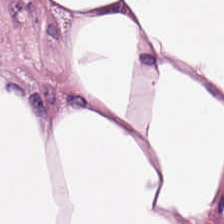Predominantly fat tissue.
